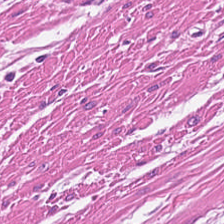H&E-stained tissue section showing muscularis.
